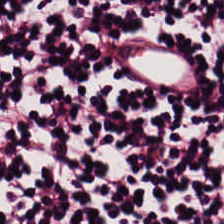H&E stain. 224×224 px patch. FFPE.
This field is lymphoid infiltrate.
